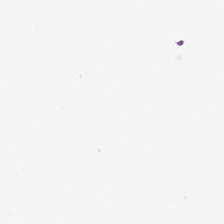Stain: hematoxylin-and-eosin stained section.
Acquisition: brightfield microscopy.
Field content: background (no tissue).
